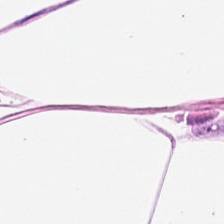Hematoxylin-and-eosin stained section. 20× equivalent magnification. 224×224 px tile. The tissue here is adipose.
